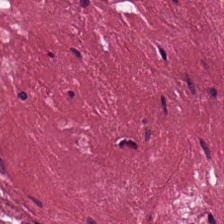H&E. The predominant tissue is desmoplastic stroma.
